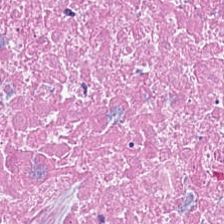Formalin-fixed paraffin-embedded section; H&E — Predominantly cellular debris.
